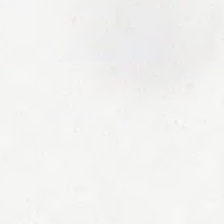Hematoxylin-and-eosin stained section. FFPE.
Background — no tissue in this field.
